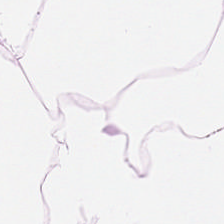Stain: H&E stain.
Resolution: 20× equivalent magnification.
Classification: adipose.
